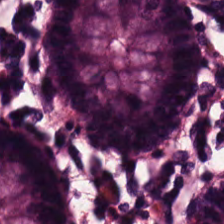H&E — Q: Identify the tissue.
A: Benign colonic mucosa.
